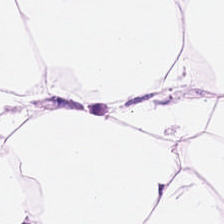0.5 microns per pixel; H&E-stained tissue section — This patch shows adipose tissue.
